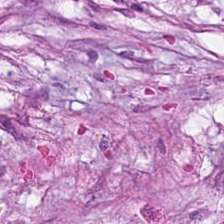H&E stain; 20× equivalent magnification; whole-slide-image patch — Finding → tumor-associated stroma.
